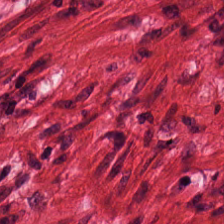Tissue type = smooth-muscle tissue.
